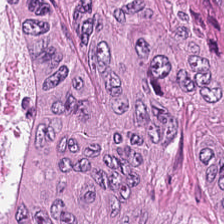WSI patch. Hematoxylin-and-eosin stained section — {"tissue_type": "tumor epithelium"}
